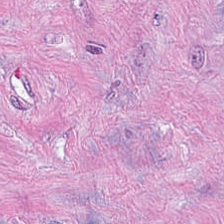H&E. Tissue — cancer-associated stroma.
